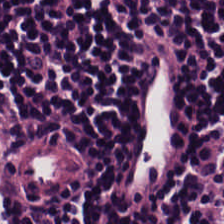Stain: hematoxylin and eosin.
Predominant tissue: lymphoid infiltrate.
